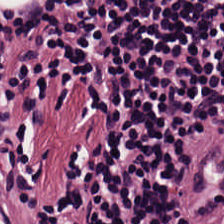Hematoxylin and eosin.
Q: What is shown here?
A: This is lymphoid infiltrate.
